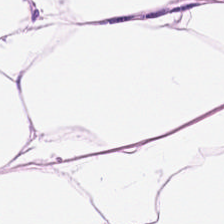Hematoxylin and eosin — This field is adipose.
